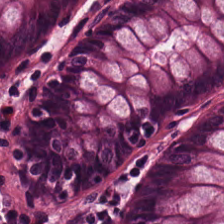0.5 µm per pixel · H&E-stained tissue section. The predominant tissue is benign colonic mucosa.
